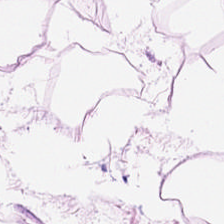H&E stain — This field is adipose tissue.
